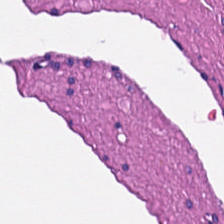H&E — The predominant tissue is smooth muscle.
